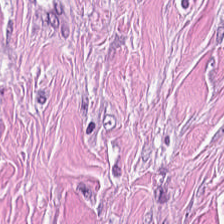Stain: H&E stain.
Tissue type: desmoplastic stroma.
